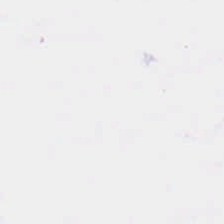H&E-stained tissue section.
Classification: background (no tissue).
